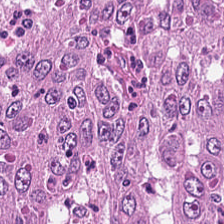Q: Classify this patch.
A: Colorectal adenocarcinoma.
